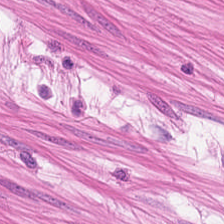H&E-stained tissue section. Q: What type of tissue is this?
A: The field shows smooth-muscle tissue.
